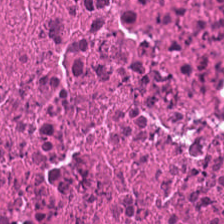FFPE tissue section · 20× equivalent magnification · H&E stain. This field is cellular debris.
